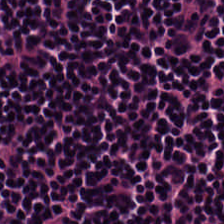224×224 pixel tile; H&E stain — This patch shows lymphocytes.
